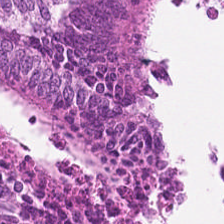H&E stain — The predominant tissue is colorectal adenocarcinoma epithelium.
